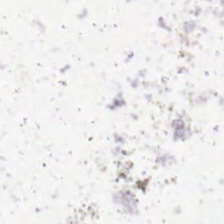H&E stain. Brightfield — No tissue present; background only.
